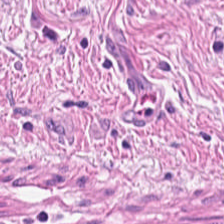Tissue type: muscularis.
